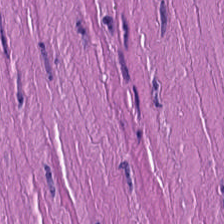H&E-stained section; the field shows muscularis.
